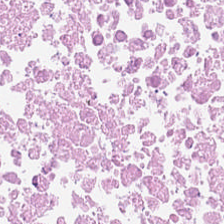Q: What is shown in this field?
A: The field shows necrotic debris.
